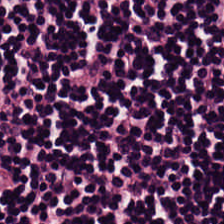Tissue class = lymphocytic infiltrate.
